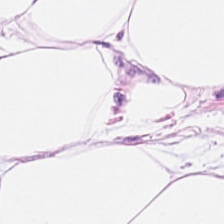Stain: H&E-stained tissue section.
Acquisition: brightfield microscopy.
Tissue type: fat tissue.
